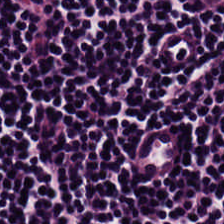H&E; 224×224 px patch — {"tissue_type": "lymphocytes"}
